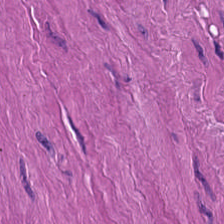0.5 µm per pixel. H&E-stained tissue section. Whole-slide-image patch.
Predominant tissue — smooth muscle.
